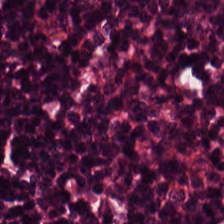FFPE tissue section; hematoxylin and eosin — {"tissue_type": "lymphocytic infiltrate"}
